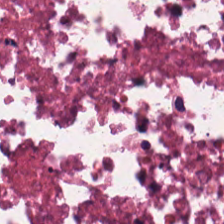H&E. The tissue here is debris.
